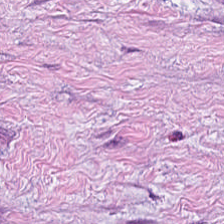H&E stain.
This field is tumor stroma.
